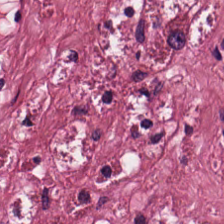Q: What does this patch show?
A: Tumor-associated stroma.
